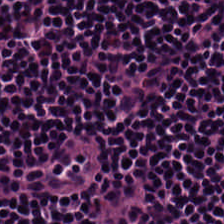Hematoxylin-and-eosin stained section.
Predominantly lymphocyte aggregate.
